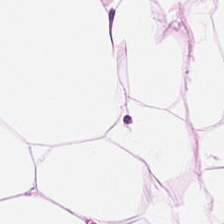H&E · 224×224 px patch.
This field is adipose tissue.
